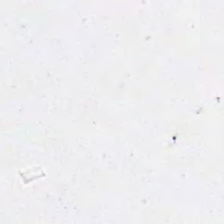Hematoxylin and eosin — The field content is empty background.
